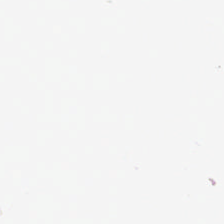H&E; 20× equivalent magnification. Finding → empty background.
